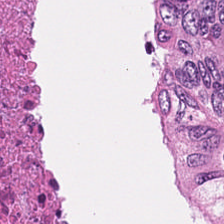Hematoxylin and eosin. 224×224 px tile — Q: What tissue is shown?
A: This is necrotic debris.
